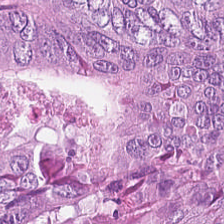Histology → malignant epithelium.
